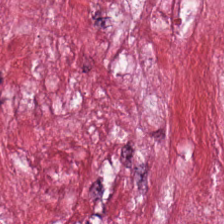H&E-stained tissue section; 20× equivalent magnification.
This field is tumor-associated stroma.
